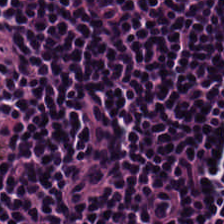H&E. FFPE tissue section.
The predominant tissue is lymphocytic infiltrate.
